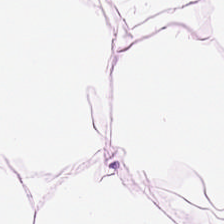This patch shows adipose tissue.
